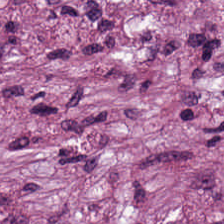H&E-stained tissue section. Tissue class = tumor stroma.
